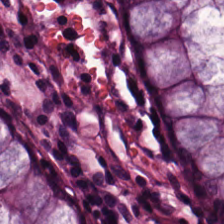Brightfield microscopy · hematoxylin-and-eosin stained section · 20× equivalent magnification.
Normal colon mucosa.
